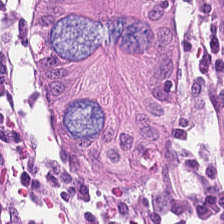Hematoxylin-and-eosin stained section — Q: What is shown here?
A: The field shows benign colonic mucosa.
